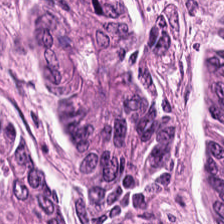Classification = colorectal adenocarcinoma epithelium.
